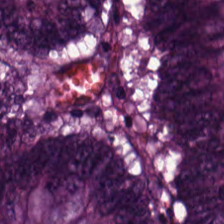Hematoxylin and eosin · brightfield · 224×224 pixel tile — Histology — colorectal adenocarcinoma epithelium.
